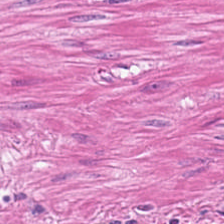H&E stain. Predominant tissue = muscularis.
